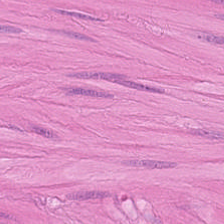Hematoxylin-and-eosin stained section · 0.5 microns per pixel. Muscularis.
